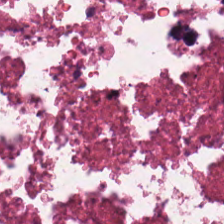H&E-stained tissue section. FFPE tissue section. Brightfield microscopy — The tissue is cellular debris.
